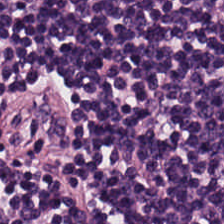Tissue type = lymphocytes.
